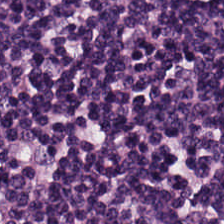Stain: H&E.
Predominant tissue: lymphocyte aggregate.
